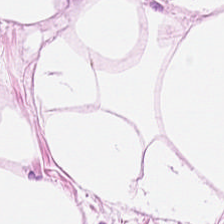H&E stain. The tissue here is adipocytes.
